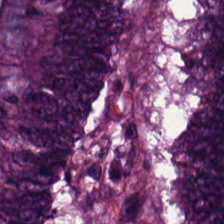H&E-stained tissue section. FFPE tissue section. Impression → tumor epithelium.
